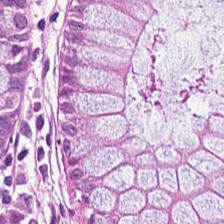H&E stain; formalin-fixed paraffin-embedded section. Q: What tissue is shown?
A: The field shows non-neoplastic colon mucosa.
